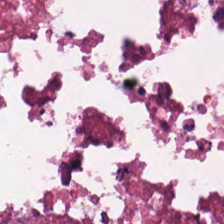224×224 px patch · 20× equivalent magnification · hematoxylin and eosin. Q: What tissue type is shown here?
A: The field shows necrotic debris.
